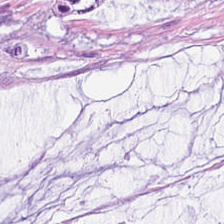Impression — extracellular mucin.
